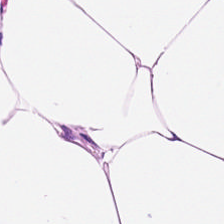Stain: hematoxylin and eosin.
Resolution: 20× equivalent magnification.
Tissue: adipocytes.
